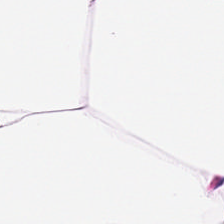H&E-stained section; the field shows adipose.
